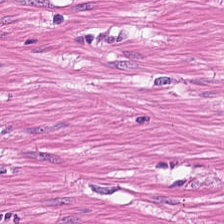H&E stain.
Smooth-muscle tissue.
